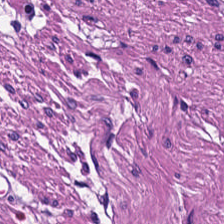224×224 px tile; H&E stain; whole-slide-image patch. The tissue is smooth muscle.
